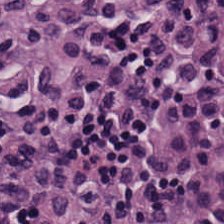Brightfield · 20× equivalent magnification · H&E stain — Tissue type — lymphocytic infiltrate.
